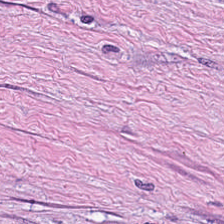Stain: H&E stain.
Classification: tumor stroma.
